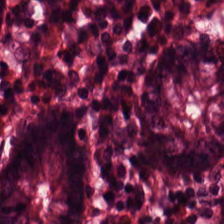H&E — Tissue type = benign colonic mucosa.
